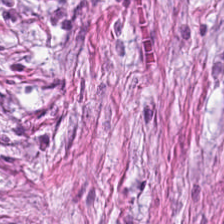H&E. Classification = tumor stroma.
